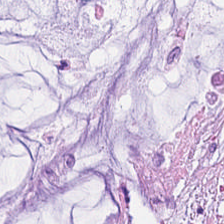Stain: H&E-stained tissue section.
Resolution: 0.5 microns per pixel.
Tissue class: extracellular mucin.
